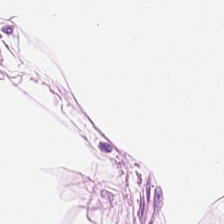Hematoxylin and eosin. Formalin-fixed paraffin-embedded section.
Tissue class = adipose.
